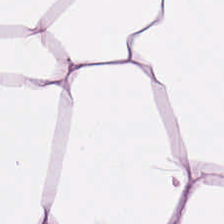Hematoxylin-and-eosin stained section.
The predominant tissue is adipocytes.
